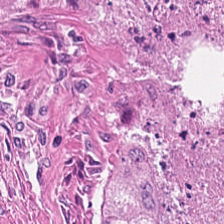Finding → necrotic debris.
